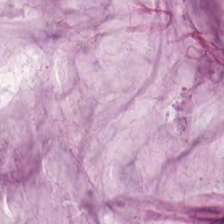Brightfield. 20× equivalent magnification. H&E-stained tissue section.
Q: Identify the tissue.
A: This is mucus.
